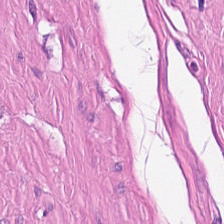20× equivalent magnification · 224×224 px tile · H&E — Classification: smooth-muscle tissue.
